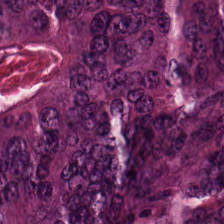H&E stain. The classification is tumor epithelium.
